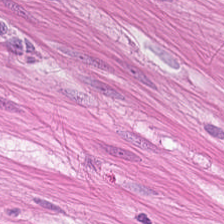Hematoxylin and eosin.
{"tissue_type": "smooth-muscle tissue"}
